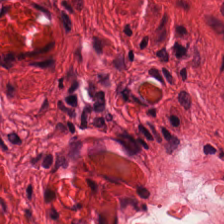H&E-stained tissue section. 20× equivalent magnification — Q: What tissue type is shown here?
A: This is smooth-muscle tissue.
